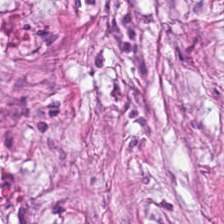Tumor stroma.
